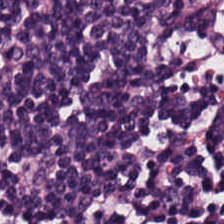0.5 µm/px · H&E — Q: What does this patch show?
A: The field shows lymphocyte aggregate.
